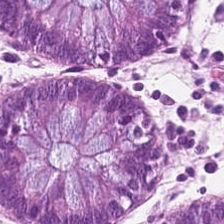Hematoxylin and eosin.
Tissue — normal colonic mucosa.
